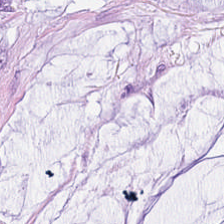0.5 microns per pixel; FFPE; H&E. Showing mucus.
